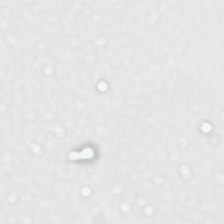Stain: hematoxylin and eosin.
Content: background.
